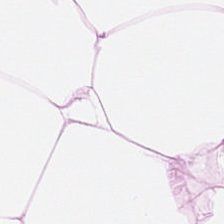Brightfield microscopy · H&E · 224×224 px patch — This patch shows adipocytes.
